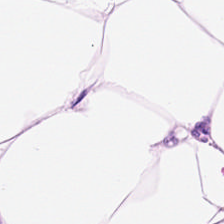H&E-stained tissue section; 224×224 pixel tile.
This field is adipose.
